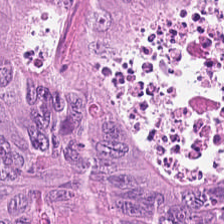Hematoxylin and eosin.
{"tissue_type": "tumor epithelium"}
